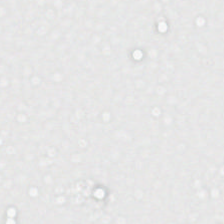H&E — Classification = no tissue.
